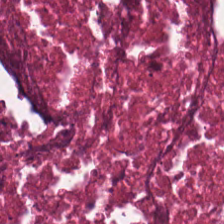Hematoxylin and eosin. The tissue type is necrotic debris.
